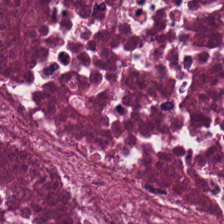Stain: H&E stain.
Tile size: 224×224 pixel tile.
Predominant tissue: necrotic debris.
